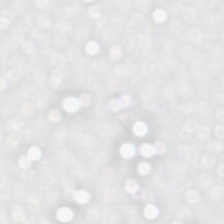H&E; 0.5 µm/px — Field content: empty background.
